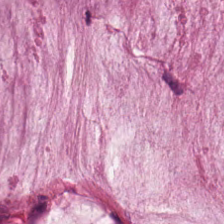Stain: hematoxylin-and-eosin stained section.
Acquisition: brightfield.
Tissue class: mucin.
